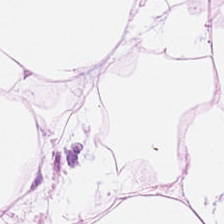Finding → adipocytes.
